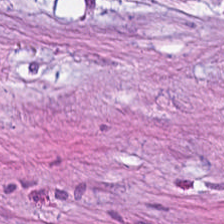H&E — Cancer-associated stroma.
